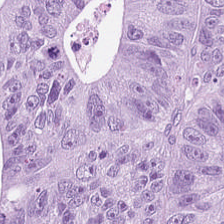0.5 µm/px. FFPE. Hematoxylin-and-eosin stained section.
Tissue class — colorectal adenocarcinoma epithelium.
